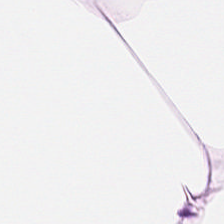H&E-stained tissue section.
The classification is adipose tissue.
